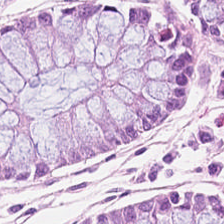H&E-stained tissue section. The tissue here is benign colonic mucosa.
